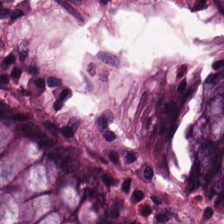WSI patch. H&E-stained tissue section.
{"tissue_type": "non-neoplastic colon mucosa"}
